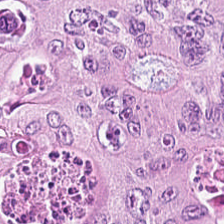0.5 µm/px · H&E-stained tissue section.
Q: What does this patch show?
A: The field shows colorectal adenocarcinoma epithelium.
